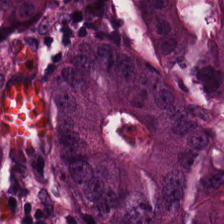Formalin-fixed paraffin-embedded section · 0.5 microns per pixel · H&E — Predominantly malignant epithelium.
